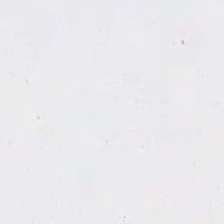0.5 µm per pixel; H&E stain. Content — background.
